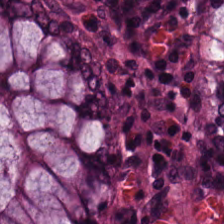H&E-stained tissue section · 0.5 µm/px · 224×224 pixel tile.
Q: Classify this patch.
A: It is benign colonic mucosa.
